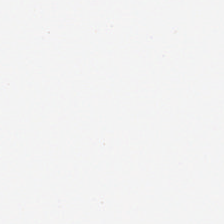Hematoxylin-and-eosin stained section; FFPE tissue section. Content = no tissue.
